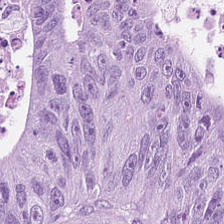Impression → colorectal adenocarcinoma.
